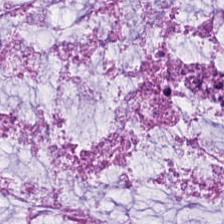H&E-stained tissue section.
Predominantly mucus.
